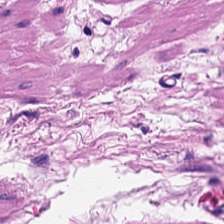Hematoxylin-and-eosin stained section; 224×224 px patch. Predominant tissue: smooth muscle.
